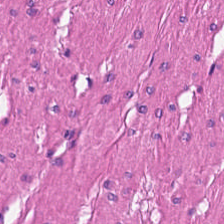H&E-stained tissue section — Tissue = smooth muscle.
